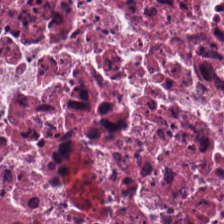The classification is cellular debris.
